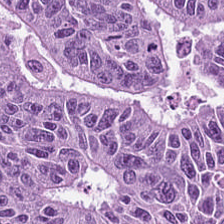H&E-stained tissue section. 20× equivalent magnification.
This field is tumor epithelium.
